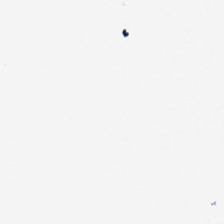0.5 µm per pixel · H&E · formalin-fixed paraffin-embedded section.
Q: What is shown in this field?
A: It is background (no tissue).
